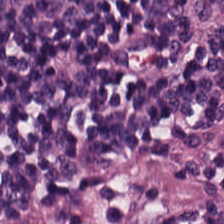Tissue class: lymphocytic infiltrate.
